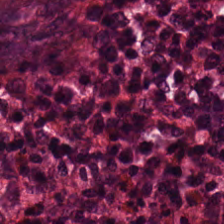The classification is non-neoplastic colon mucosa.
